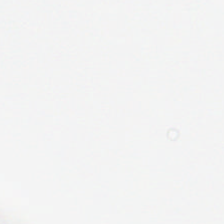Stain: H&E-stained tissue section.
Classification: background.
